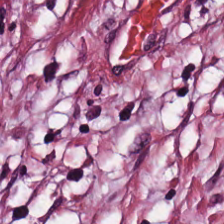Classification = tumor-associated stroma.
